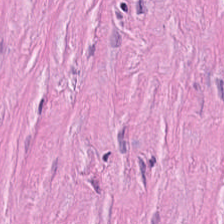Tissue = tumor stroma.
